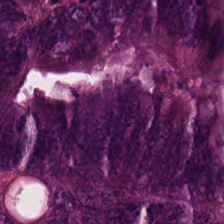{"tissue_type": "tumor epithelium"}
